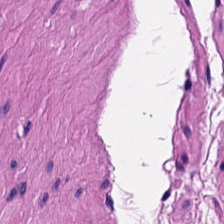Brightfield · H&E.
Predominantly muscularis.
